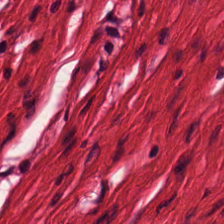Hematoxylin and eosin.
Q: What tissue is shown?
A: This is muscularis.
